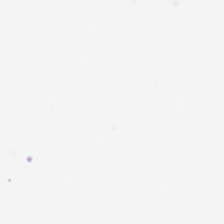H&E-stained tissue section · WSI patch · FFPE tissue section. Classification = background.
